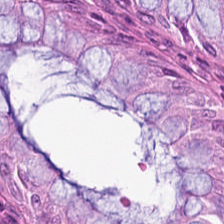Showing benign colonic mucosa.
